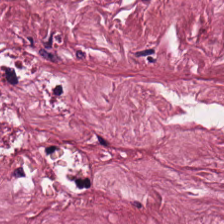H&E stain. {"tissue_type": "cancer-associated stroma"}
